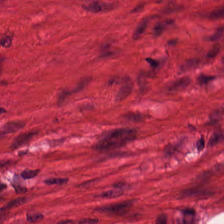Hematoxylin-and-eosin stained section.
{"tissue_type": "smooth muscle"}
